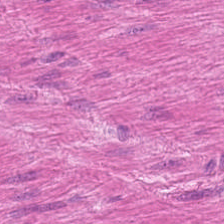H&E — muscularis.
